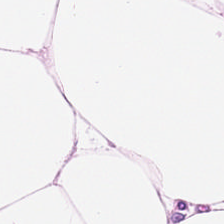Stain: H&E.
Tile size: 224×224 px patch.
Resolution: 0.5 µm per pixel.
Tissue: adipocytes.
